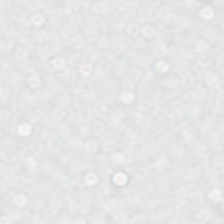Hematoxylin-and-eosin stained section · brightfield microscopy. Background (no tissue).
